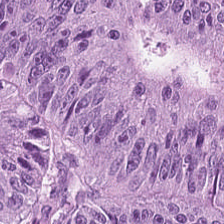Tumor epithelium.
